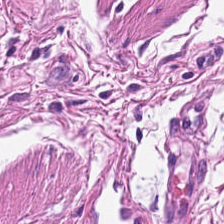Finding → smooth muscle.
